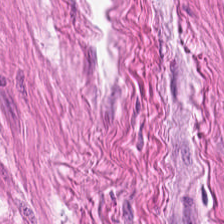H&E — Tissue — smooth muscle.
